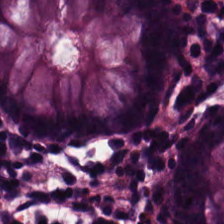Tissue type — non-neoplastic colon mucosa.
